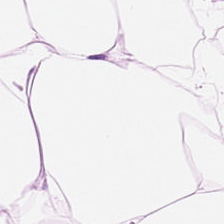Hematoxylin-and-eosin stained section. Tissue — adipose tissue.
